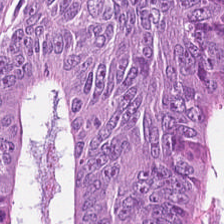Stain: H&E stain.
Tissue class: colorectal adenocarcinoma.
